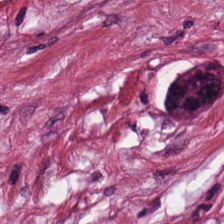0.5 µm/px · hematoxylin-and-eosin stained section · whole-slide-image patch — {"tissue_type": "cancer-associated stroma"}
